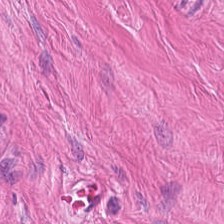H&E.
Tissue — muscularis.
